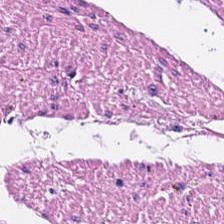Q: What type of tissue is this?
A: The field shows muscularis.
